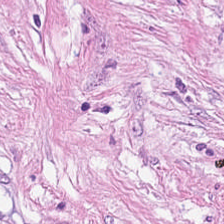H&E stain.
The tissue class is desmoplastic stroma.
